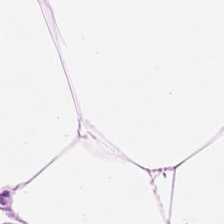Hematoxylin and eosin.
Q: What is shown in this field?
A: It is adipose.
